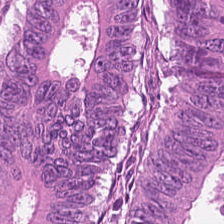H&E stain. Tissue: colorectal adenocarcinoma epithelium.
